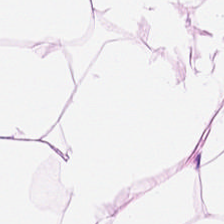224×224 pixel tile. Hematoxylin and eosin — Tissue class: adipocytes.
